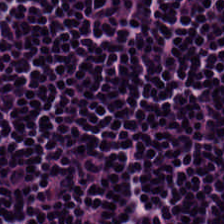224×224 px patch · whole-slide-image patch · H&E-stained tissue section. Impression → lymphocyte aggregate.
